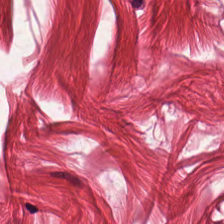H&E.
This field is smooth-muscle tissue.
